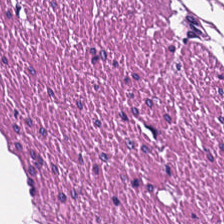Hematoxylin and eosin. The tissue is smooth-muscle tissue.
